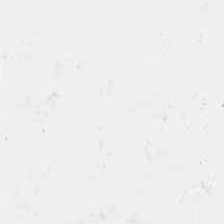Hematoxylin-and-eosin stained section. No tissue present; background only.
